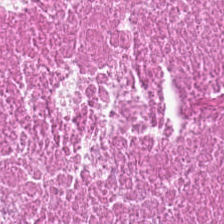H&E-stained tissue section.
Q: What is the predominant tissue type?
A: This is necrotic debris.
